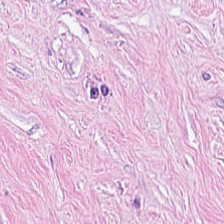Whole-slide-image patch; hematoxylin-and-eosin stained section — Showing tumor-associated stroma.
